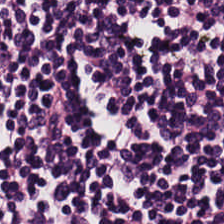H&E-stained tissue section showing lymphocytes.
